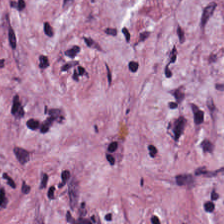Hematoxylin and eosin. Q: What does this patch show?
A: This is tumor-associated stroma.
